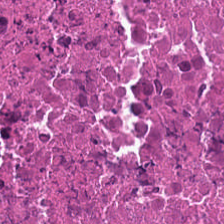{"tissue_type": "cellular debris"}
